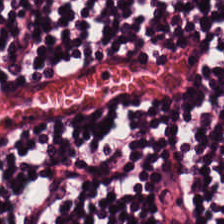Hematoxylin-and-eosin stained section.
This field is lymphocytes.
